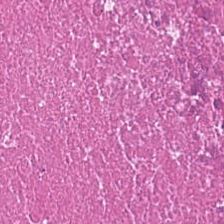Impression — debris.
